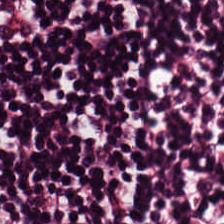H&E; 224×224 px patch. Q: What is shown here?
A: This is lymphocyte aggregate.
